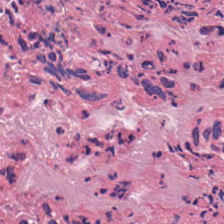Stain: H&E-stained tissue section.
Preparation: FFPE.
Tissue class: cellular debris.
